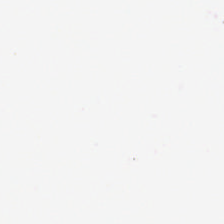Hematoxylin-and-eosin stained section — {"content": "empty background"}
